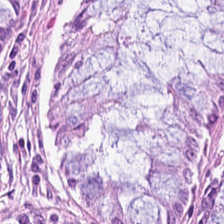H&E-stained tissue section.
Showing benign colonic mucosa.
